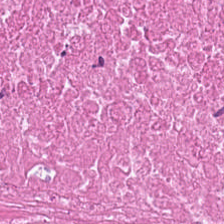Stain: H&E stain.
Preparation: FFPE tissue section.
Tile size: 224×224 pixel tile.
Tissue: cellular debris.
